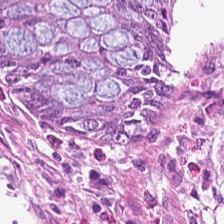Hematoxylin and eosin.
{"tissue_type": "normal colonic mucosa"}
